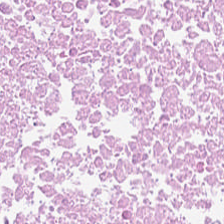H&E stain. This field is debris.
